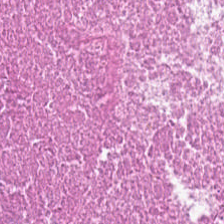H&E-stained tissue section. Brightfield — {"tissue_type": "necrotic debris"}
